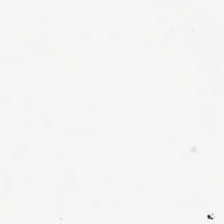224×224 px tile; H&E stain. Classification — background.
